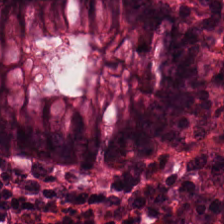Tissue class — normal colonic mucosa.
